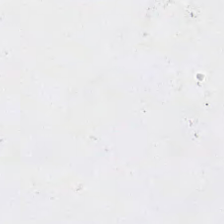Hematoxylin-and-eosin stained section; 0.5 µm/px — Histology — background.
